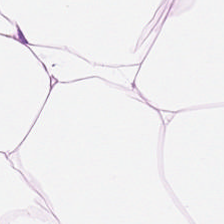H&E-stained tissue section.
Predominantly adipocytes.
